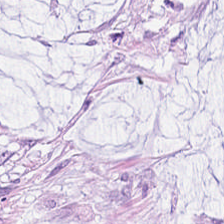H&E stain.
Predominant tissue: mucus.
